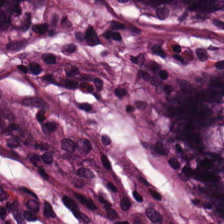Formalin-fixed paraffin-embedded section; hematoxylin-and-eosin stained section. Tissue = non-neoplastic colon mucosa.
